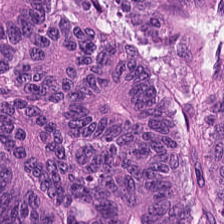Colorectal adenocarcinoma epithelium.
